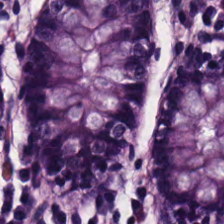H&E — Predominant tissue — normal colonic mucosa.
